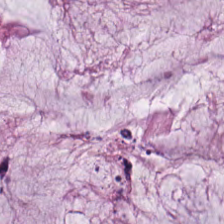The tissue type is mucus.
